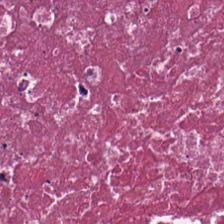Finding → cellular debris.
